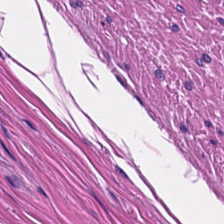The predominant tissue is smooth muscle.
